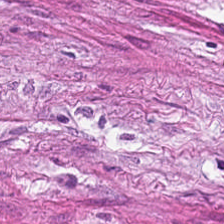Stain: H&E.
Preparation: FFPE tissue section.
Resolution: 0.5 microns per pixel.
Tissue class: tumor-associated stroma.
